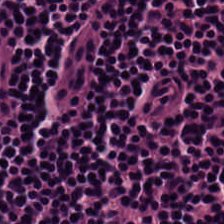H&E — The predominant tissue is lymphoid infiltrate.
